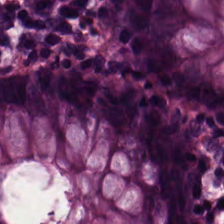0.5 µm per pixel · hematoxylin and eosin — {"tissue_type": "benign colonic mucosa"}
